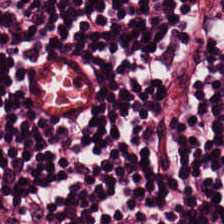H&E stain. Brightfield — Tissue class: lymphocytes.
